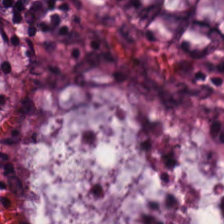Stain: H&E-stained tissue section.
Tile size: 224×224 px patch.
Resolution: 0.5 µm/px.
Predominant tissue: non-neoplastic colon mucosa.
